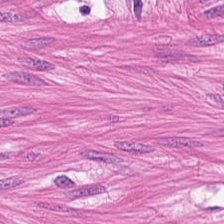FFPE tissue section; H&E-stained tissue section; 0.5 microns per pixel.
Predominant tissue — muscularis.
